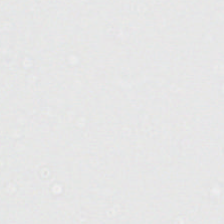FFPE tissue section. Hematoxylin and eosin — No tissue present; background only.
